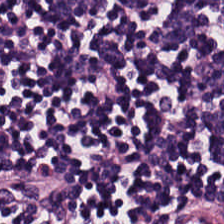Stain: H&E.
Tissue type: lymphocyte aggregate.
